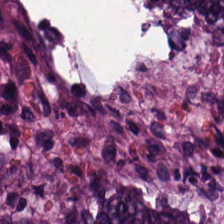H&E stain. {"tissue_type": "colorectal adenocarcinoma epithelium"}
